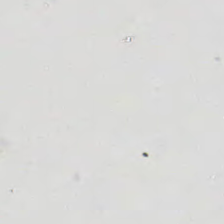224×224 pixel tile; H&E stain; brightfield microscopy. Q: What is shown in this field?
A: This is background (no tissue).
